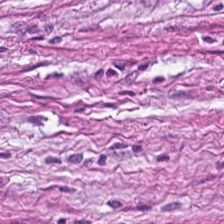Classification = tumor-associated stroma.
